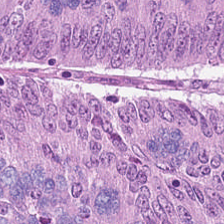H&E stain · FFPE.
Predominantly colorectal adenocarcinoma.
